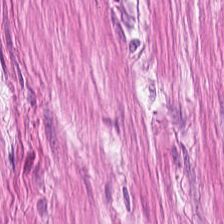Hematoxylin-and-eosin stained section. The predominant tissue is muscularis.
